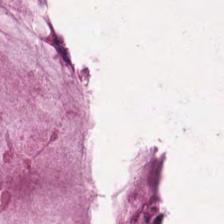H&E stain. Impression → mucin.
